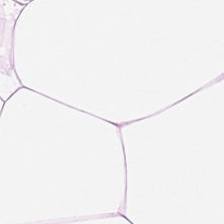Q: What type of tissue is this?
A: Adipocytes.
